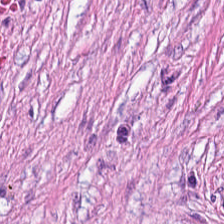Hematoxylin and eosin — Finding → tumor-associated stroma.
